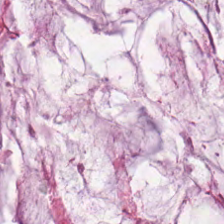H&E-stained tissue section.
The predominant tissue is extracellular mucin.
